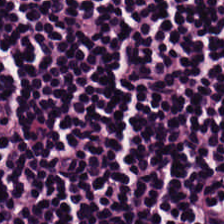H&E stain — The predominant tissue is lymphocytes.
